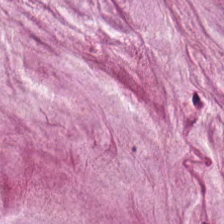Hematoxylin and eosin.
Predominantly mucin.
